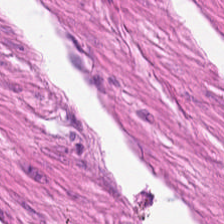Stain: H&E stain.
Tissue: smooth muscle.
